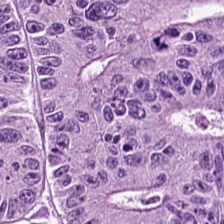The tissue here is malignant epithelium.
